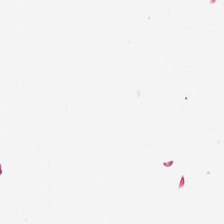Hematoxylin and eosin. Brightfield microscopy.
This field is background (no tissue).
